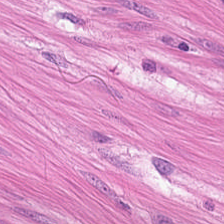H&E-stained tissue section. Whole-slide-image patch. 224×224 px tile. Tissue type = smooth-muscle tissue.
